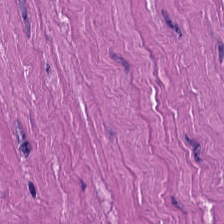Hematoxylin and eosin.
Classification — muscularis.
